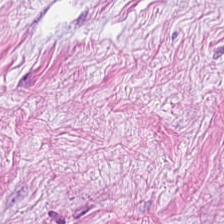WSI patch · FFPE tissue section · hematoxylin-and-eosin stained section. {"tissue_type": "desmoplastic stroma"}
